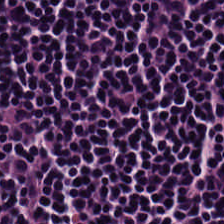Formalin-fixed paraffin-embedded section; hematoxylin-and-eosin stained section.
Lymphocytes.
